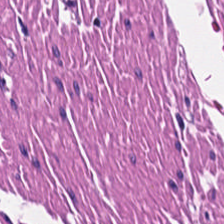Hematoxylin and eosin.
This field is muscularis.
